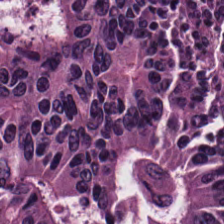H&E stain — This patch shows malignant epithelium.
